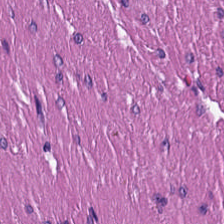H&E; 224×224 pixel tile. The tissue is smooth muscle.
